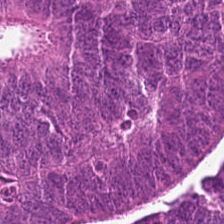Hematoxylin-and-eosin stained section.
Tissue — colorectal adenocarcinoma.
